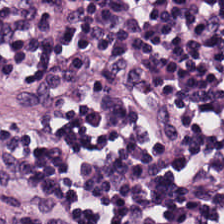20× equivalent magnification; 224×224 px patch; H&E stain — Histology → lymphoid infiltrate.
